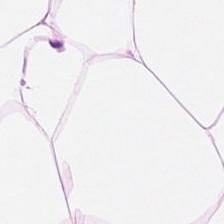Stain: hematoxylin-and-eosin stained section.
Classification: fat tissue.
